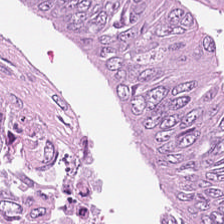Histology → colorectal adenocarcinoma.
